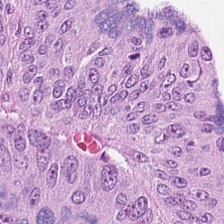H&E-stained tissue section — Q: What tissue type is shown here?
A: The field shows colorectal adenocarcinoma epithelium.
